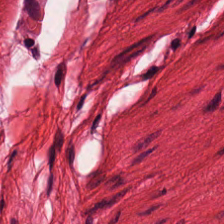Whole-slide-image patch; hematoxylin and eosin — Tissue class = smooth-muscle tissue.
